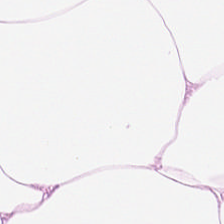Hematoxylin-and-eosin stained section. Histology — adipocytes.
